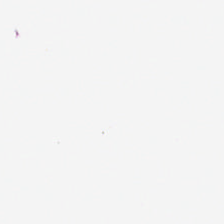H&E stain. Classification = empty background.
